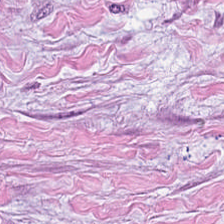This field is cancer-associated stroma.
